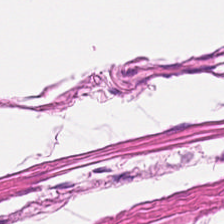20× equivalent magnification; hematoxylin and eosin; 224×224 px tile — Q: What is the predominant tissue type?
A: This is smooth muscle.
